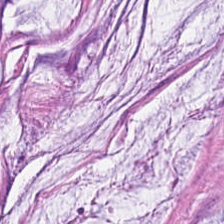H&E-stained section; the field shows extracellular mucin.
